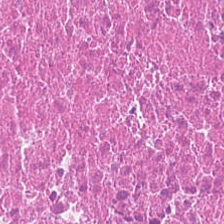H&E stain.
Tissue: necrotic debris.
